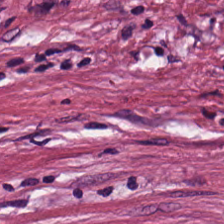20× equivalent magnification; hematoxylin-and-eosin stained section.
Impression — tumor-associated stroma.
